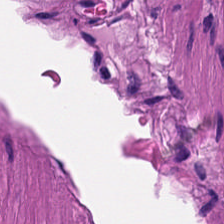H&E stain; FFPE tissue section — Q: What is the predominant tissue type?
A: This is smooth-muscle tissue.
